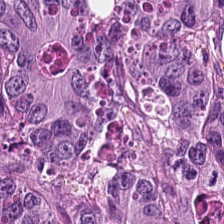Hematoxylin and eosin · 224×224 pixel tile · FFPE tissue section. This patch shows adenocarcinoma.
